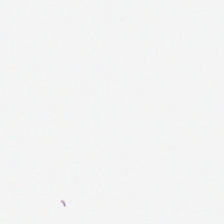Stain: hematoxylin and eosin.
Field content: background.
